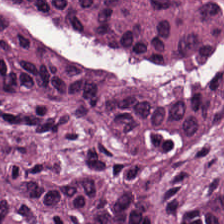Stain: hematoxylin-and-eosin stained section.
Tissue: colorectal adenocarcinoma epithelium.
